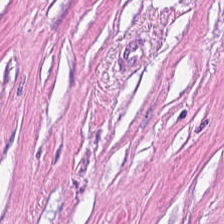The classification is tumor stroma.
